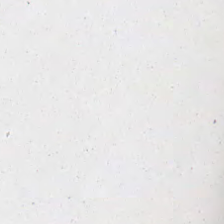Classification: empty background.
